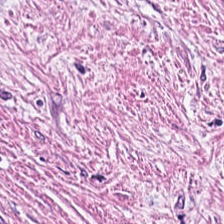H&E stain — Finding → desmoplastic stroma.
